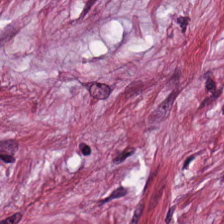Stain: H&E stain.
Tile size: 224×224 px patch.
Predominant tissue: tumor-associated stroma.
